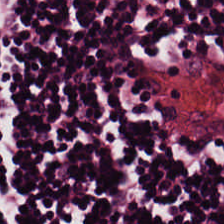Hematoxylin and eosin; WSI patch — This field is lymphoid infiltrate.
